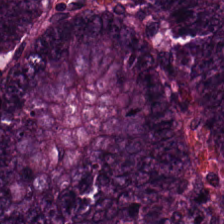224×224 pixel tile; hematoxylin-and-eosin stained section; 0.5 µm/px. Classification — adenocarcinoma.
